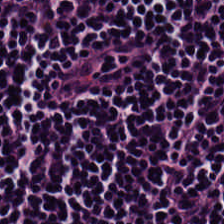Hematoxylin-and-eosin stained section. Impression — lymphocytes.
